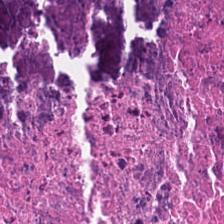H&E-stained tissue section.
Showing debris.
